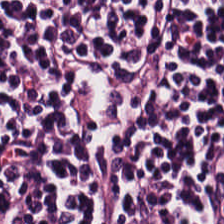H&E-stained tissue section.
The tissue here is lymphocytic infiltrate.
